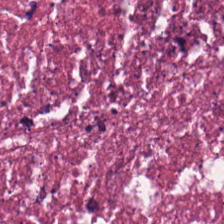H&E. 224×224 px tile — Tissue class = cellular debris.
